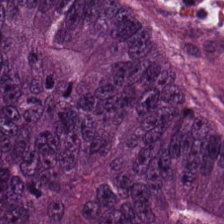H&E.
Colorectal adenocarcinoma epithelium.
